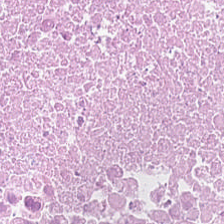Stain: H&E.
Tissue type: cellular debris.
